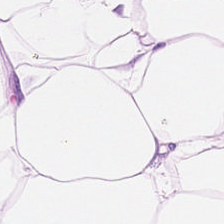H&E.
Adipocytes.
